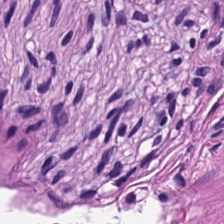H&E stain. This field is smooth-muscle tissue.
